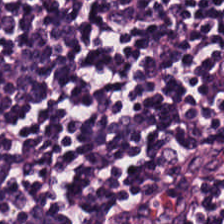This field is lymphocytes.
